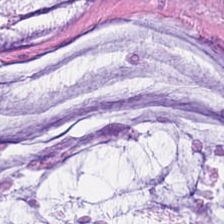H&E-stained section; the field shows mucin.
